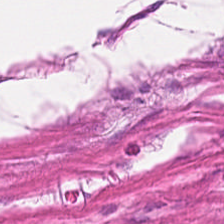Hematoxylin and eosin.
Predominantly smooth-muscle tissue.
